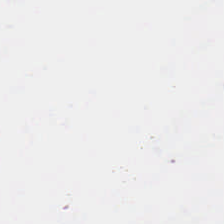Brightfield microscopy · hematoxylin and eosin · 20× equivalent magnification — Content: empty background.
